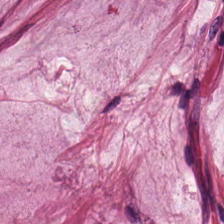Hematoxylin and eosin. Brightfield — The predominant tissue is mucin.
